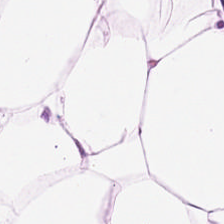Hematoxylin and eosin · WSI patch · FFPE tissue section.
The tissue type is adipocytes.
